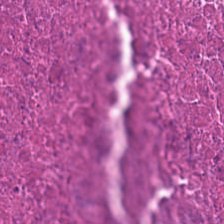Stain: hematoxylin and eosin.
Tissue: debris.
